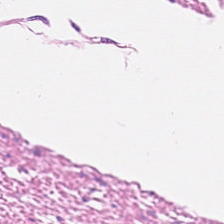Tissue type: smooth-muscle tissue.
